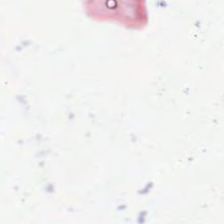Brightfield · H&E stain · formalin-fixed paraffin-embedded section.
This field is background (no tissue).
